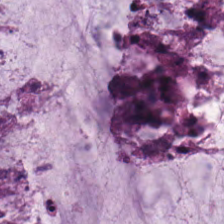Hematoxylin and eosin — Predominant tissue = mucin.
